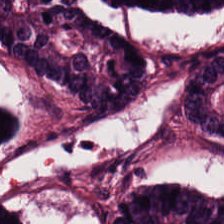Hematoxylin and eosin. Brightfield microscopy. 20× equivalent magnification. Tumor epithelium.
